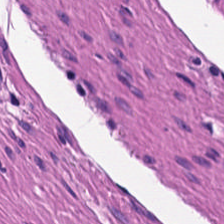Stain: hematoxylin-and-eosin stained section.
Predominant tissue: smooth muscle.
